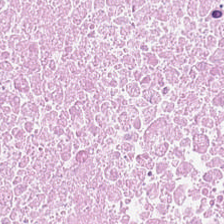Q: Identify the tissue.
A: Cellular debris.
